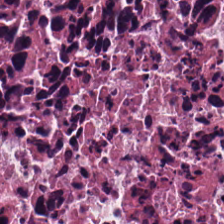Hematoxylin and eosin · 224×224 pixel tile — {"tissue_type": "cellular debris"}
